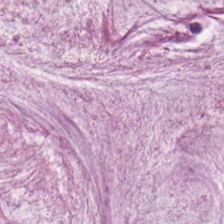224×224 pixel tile. H&E stain. 0.5 microns per pixel. Tissue: mucus.
